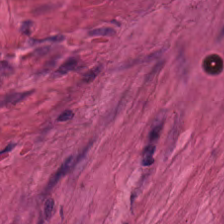H&E-stained tissue section; brightfield. The predominant tissue is smooth muscle.
